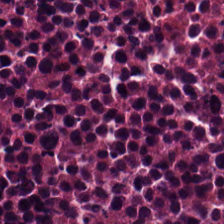FFPE tissue section · hematoxylin-and-eosin stained section.
Q: What tissue is shown?
A: This is debris.
